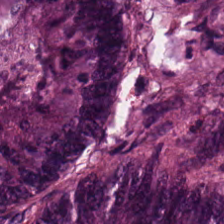224×224 px tile; H&E-stained tissue section. Tissue type: colorectal adenocarcinoma epithelium.
